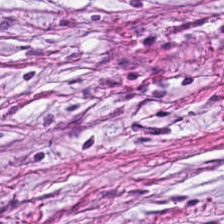H&E · FFPE tissue section — This field is tumor stroma.
